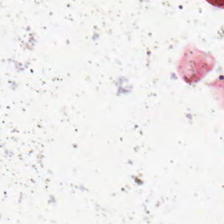Stain: H&E.
Acquisition: brightfield.
Classification: background (no tissue).
